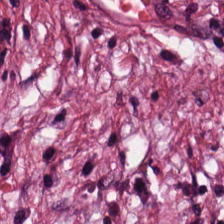Showing cancer-associated stroma.
